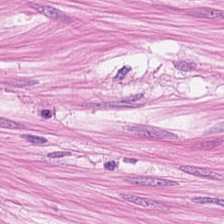H&E-stained section; the field shows muscularis.
